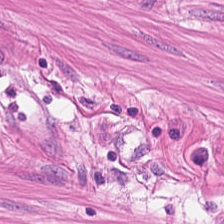H&E — Showing smooth-muscle tissue.
